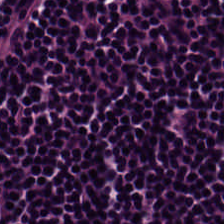Hematoxylin and eosin; brightfield; formalin-fixed paraffin-embedded section.
Tissue — lymphoid infiltrate.
